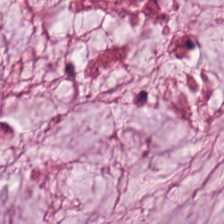This field is extracellular mucin.
